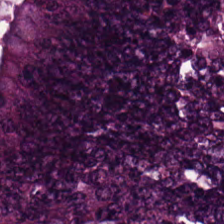WSI patch; hematoxylin-and-eosin stained section. The predominant tissue is adenocarcinoma.
